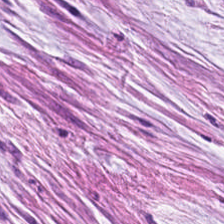Impression — mucus.
